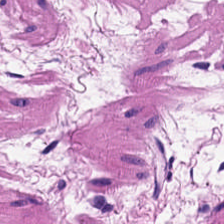H&E — Impression — smooth muscle.
